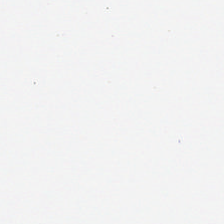Hematoxylin and eosin — No tissue.
